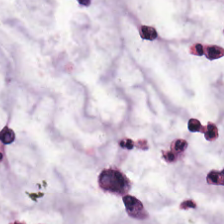Tissue: mucus.
